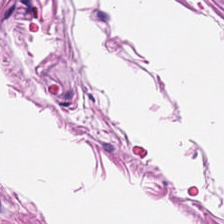Formalin-fixed paraffin-embedded section. H&E stain. 20× equivalent magnification.
The tissue type is muscularis.
